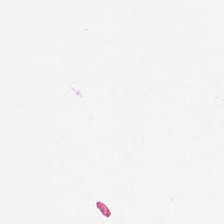H&E-stained tissue section. {"content": "background"}
